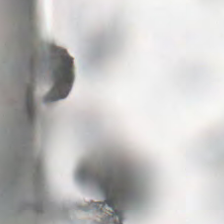H&E-stained tissue section. 0.5 microns per pixel — Field content — no tissue.
